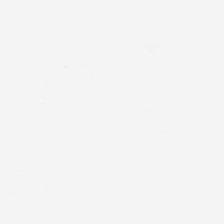Stain: H&E.
Preparation: formalin-fixed paraffin-embedded section.
Tile size: 224×224 pixel tile.
Field content: empty background.
